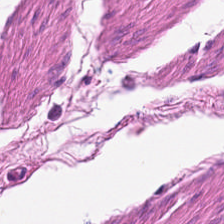H&E stain. Showing smooth muscle.
